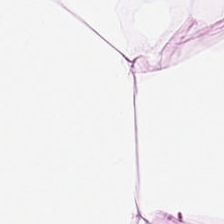H&E · formalin-fixed paraffin-embedded section · 224×224 px tile — Tissue type: adipocytes.
